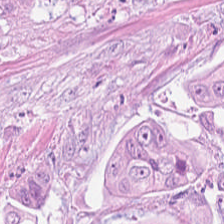0.5 microns per pixel · H&E · WSI patch — Tissue class — tumor epithelium.
